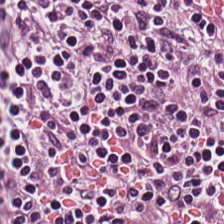224×224 pixel tile · hematoxylin-and-eosin stained section.
Classification = lymphocyte aggregate.
